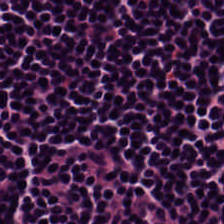H&E-stained section; the field shows lymphocytic infiltrate.
